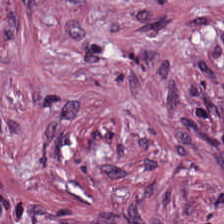Hematoxylin-and-eosin stained section; 224×224 pixel tile; brightfield microscopy. Tissue = desmoplastic stroma.
